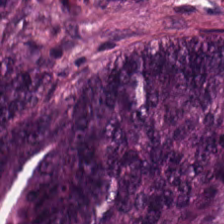Hematoxylin and eosin — Colorectal adenocarcinoma epithelium.
